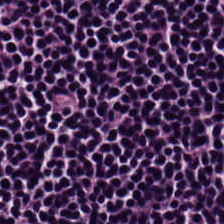Hematoxylin and eosin. The classification is lymphocytes.
